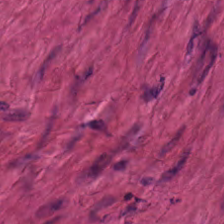H&E — {"tissue_type": "smooth-muscle tissue"}
